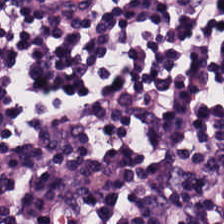H&E-stained tissue section. 224×224 px patch. Formalin-fixed paraffin-embedded section — Lymphocytes.
